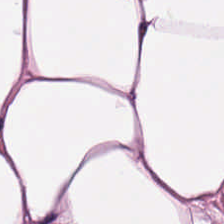Stain: hematoxylin-and-eosin stained section.
Tile size: 224×224 pixel tile.
Tissue: adipose.
